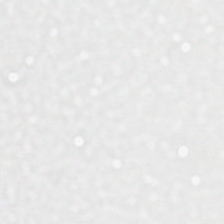H&E · 224×224 pixel tile.
No tissue present; background only.
